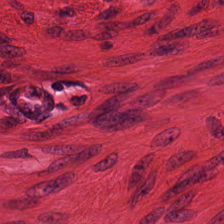Hematoxylin-and-eosin stained section — Tissue class — muscularis.
